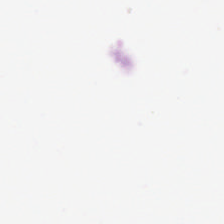H&E-stained tissue section — Histology → background.
